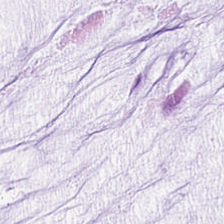Classification: mucin.
